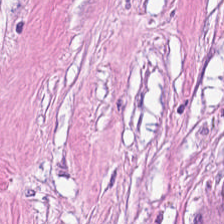H&E. Q: Classify this patch.
A: Desmoplastic stroma.
